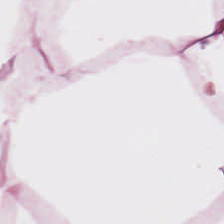Hematoxylin and eosin. Showing fat tissue.
